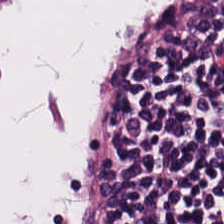H&E stain.
Tissue type = lymphocytes.
